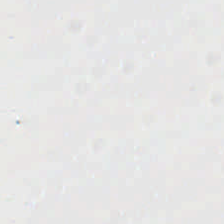H&E · brightfield microscopy · FFPE tissue section.
{"content": "empty background"}
